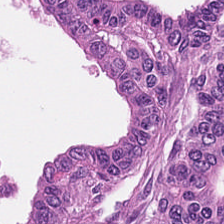Hematoxylin and eosin — Colorectal adenocarcinoma.
